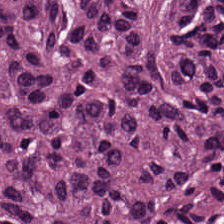Hematoxylin and eosin. Histology — malignant epithelium.
